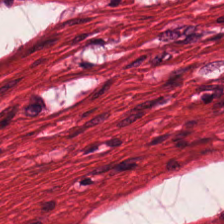0.5 µm per pixel · brightfield · H&E stain. Showing smooth muscle.
